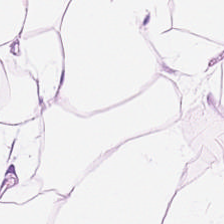H&E-stained tissue section — Adipocytes.
